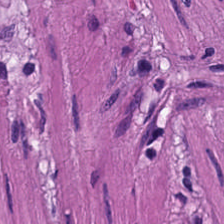Stain: H&E.
Tissue class: smooth-muscle tissue.
